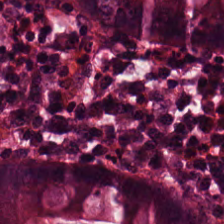Hematoxylin-and-eosin stained section.
The predominant tissue is benign colonic mucosa.
